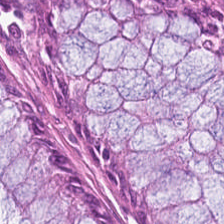{"tissue_type": "benign colonic mucosa"}
